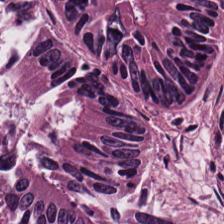H&E-stained section; the field shows tumor epithelium.
